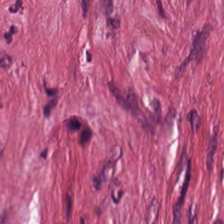H&E stain. {"tissue_type": "tumor-associated stroma"}
